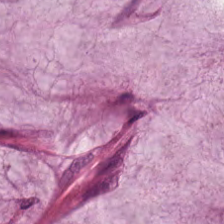Hematoxylin-and-eosin stained section. Q: What tissue is shown?
A: This is mucus.
